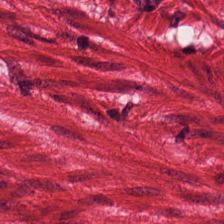Hematoxylin-and-eosin stained section.
The tissue here is muscularis.
